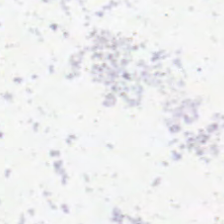Hematoxylin and eosin. Content = background (no tissue).
